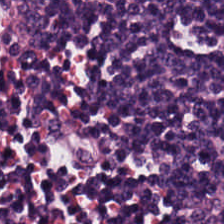Q: What is shown in this field?
A: It is lymphocytic infiltrate.
